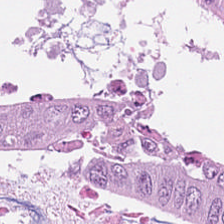H&E-stained tissue section. Showing adenocarcinoma.
